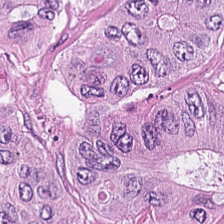Formalin-fixed paraffin-embedded section · H&E — Q: What does this patch show?
A: The field shows tumor epithelium.
